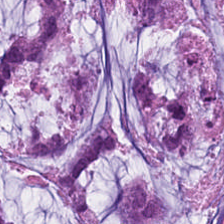20× equivalent magnification; H&E; 224×224 pixel tile.
This field is mucus.
